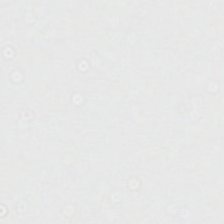Hematoxylin and eosin — Content = no tissue.
